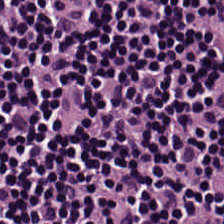Showing lymphocyte aggregate.
